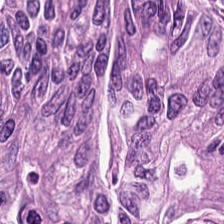H&E patch showing colorectal adenocarcinoma epithelium.
